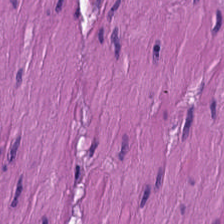0.5 µm per pixel · H&E.
Predominantly smooth-muscle tissue.
